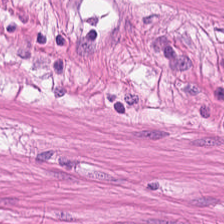FFPE tissue section; H&E — Q: What is shown in this field?
A: The field shows smooth muscle.
